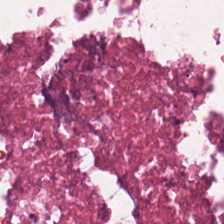H&E — Q: What tissue type is shown here?
A: It is debris.
